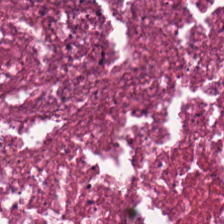H&E-stained tissue section.
The tissue here is necrotic debris.
